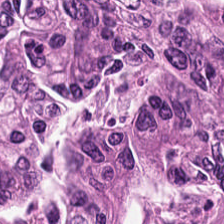Q: What type of tissue is this?
A: Colorectal adenocarcinoma epithelium.
